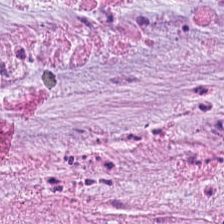FFPE. Brightfield. H&E. Tissue = mucin.
